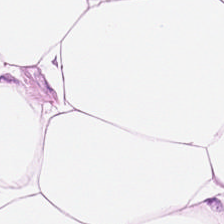Tissue class — fat tissue.
